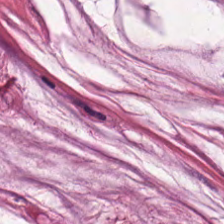H&E stain.
Q: What is the predominant tissue type?
A: It is mucus.
